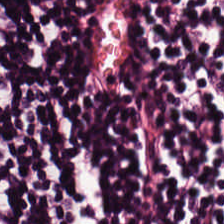WSI patch · hematoxylin and eosin · 224×224 px tile. Tissue class: lymphocyte aggregate.
